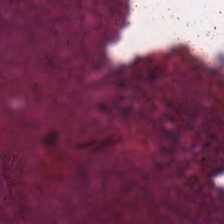Hematoxylin and eosin. This field is debris.
